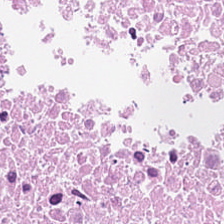Stain: H&E stain.
Tile size: 224×224 px tile.
Tissue type: debris.
